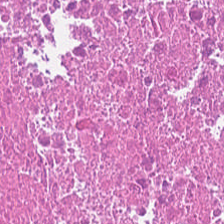Q: What is the predominant tissue type?
A: This is necrotic debris.
